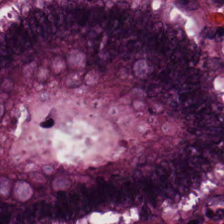H&E.
The tissue here is normal colonic mucosa.
